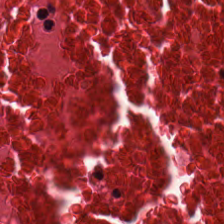H&E · formalin-fixed paraffin-embedded section. Finding — cellular debris.
